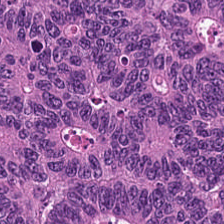Tumor epithelium.
